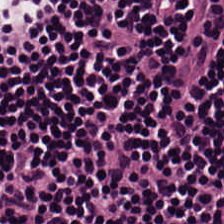H&E.
Finding → lymphocytic infiltrate.
